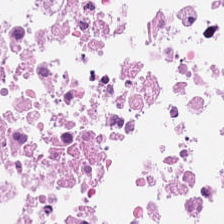Classification: cellular debris.
